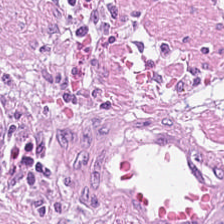H&E-stained tissue section. Q: What tissue is shown?
A: Cancer-associated stroma.
